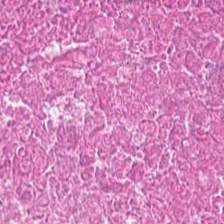FFPE. H&E-stained tissue section. {"tissue_type": "debris"}
